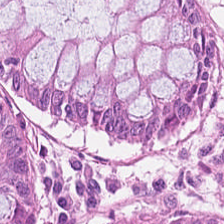Hematoxylin-and-eosin stained section. Predominant tissue = benign colonic mucosa.
